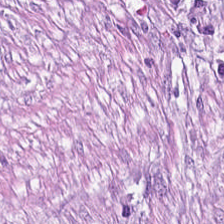H&E-stained tissue section. Predominant tissue = cancer-associated stroma.
